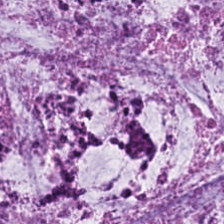224×224 px tile; hematoxylin-and-eosin stained section; 0.5 µm/px — Predominantly mucus.
